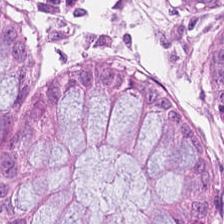Hematoxylin-and-eosin stained section.
Finding — benign colonic mucosa.
